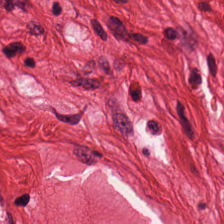H&E stain.
Finding → muscularis.
